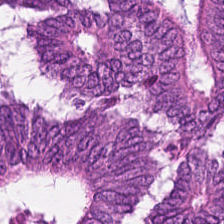Hematoxylin-and-eosin stained section — The tissue class is colorectal adenocarcinoma.
